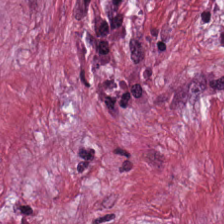Hematoxylin-and-eosin section: cancer-associated stroma.
